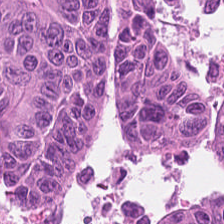H&E-stained tissue section. The tissue here is colorectal adenocarcinoma epithelium.
